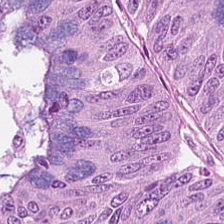224×224 pixel tile · brightfield · H&E-stained tissue section — Predominantly malignant epithelium.
